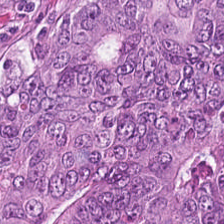H&E-stained section; the field shows tumor epithelium.
